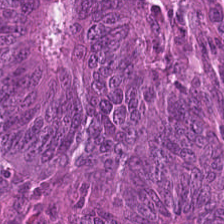H&E stain — Predominant tissue: colorectal adenocarcinoma epithelium.
